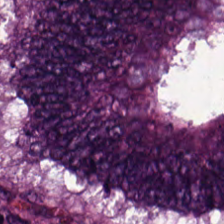The predominant tissue is colorectal adenocarcinoma.
